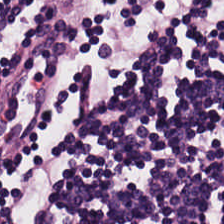Hematoxylin-and-eosin section: lymphocytic infiltrate.
